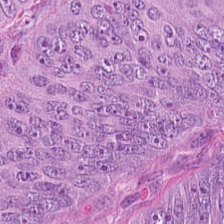H&E-stained tissue section — Tissue = adenocarcinoma.
